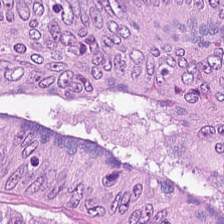Stain: hematoxylin-and-eosin stained section.
Resolution: 20× equivalent magnification.
Acquisition: WSI patch.
Predominant tissue: tumor epithelium.
